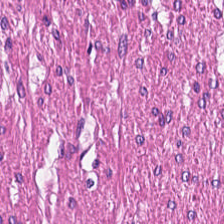Stain: H&E stain.
Tissue class: smooth-muscle tissue.
